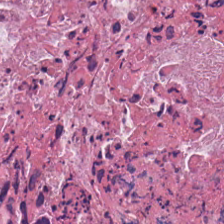Finding → necrotic debris.
